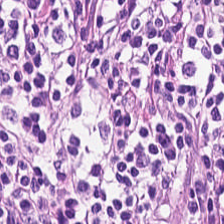H&E stain; 0.5 µm/px — The tissue type is lymphoid infiltrate.
